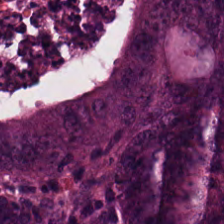20× equivalent magnification. WSI patch. H&E. {"tissue_type": "malignant epithelium"}
